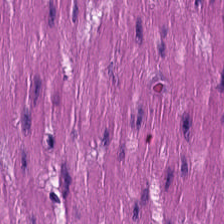H&E-stained tissue section. The predominant tissue is smooth muscle.
